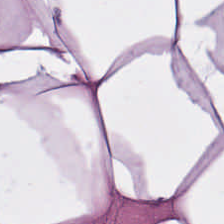Hematoxylin-and-eosin stained section. Showing fat tissue.
